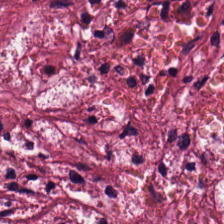{"tissue_type": "tumor stroma"}
